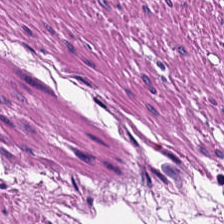Hematoxylin and eosin.
Q: What is shown here?
A: This is muscularis.
